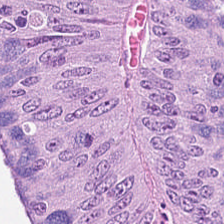Tissue: colorectal adenocarcinoma.
